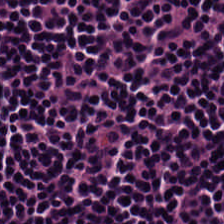Predominantly lymphocyte aggregate.
